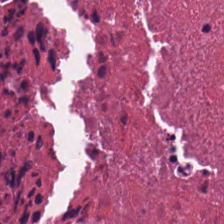Hematoxylin-and-eosin stained section. Brightfield.
Predominantly necrotic debris.
